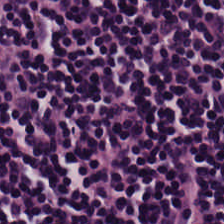Hematoxylin-and-eosin stained section — Tissue class — lymphocytes.
